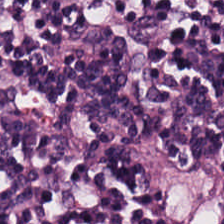Hematoxylin and eosin · 224×224 pixel tile. Predominantly lymphocytic infiltrate.
